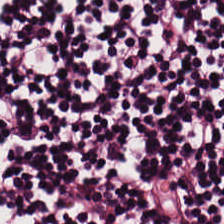Stain: H&E-stained tissue section.
Resolution: 0.5 µm/px.
Tissue: lymphocyte aggregate.
